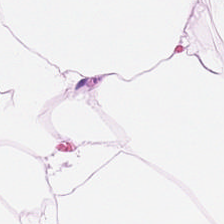H&E stain. WSI patch. Classification: adipose tissue.
